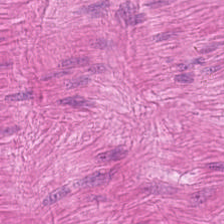Stain: hematoxylin and eosin.
Tissue class: smooth-muscle tissue.
